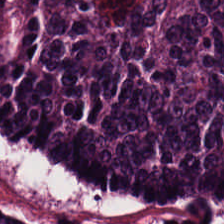Formalin-fixed paraffin-embedded section; 0.5 µm/px; hematoxylin-and-eosin stained section — This field is colorectal adenocarcinoma epithelium.
